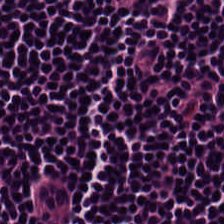H&E. Tissue: lymphocyte aggregate.
